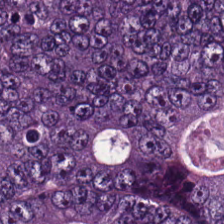224×224 px tile. Hematoxylin and eosin. Formalin-fixed paraffin-embedded section — Colorectal adenocarcinoma epithelium.
